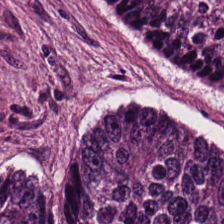The predominant tissue is tumor epithelium.
